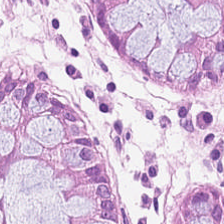H&E stain; 224×224 px patch; FFPE tissue section — The predominant tissue is normal colonic mucosa.
